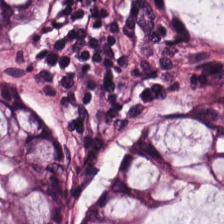H&E. Tissue class = benign colonic mucosa.
